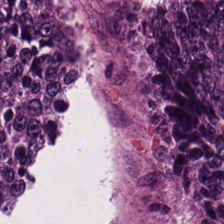Hematoxylin and eosin; 20× equivalent magnification. Classification = tumor epithelium.
